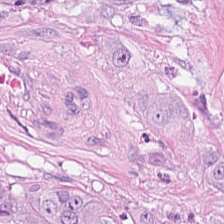H&E-stained tissue section.
Impression → adenocarcinoma.
